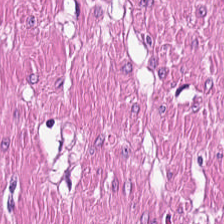Stain: H&E-stained tissue section.
Classification: smooth-muscle tissue.
